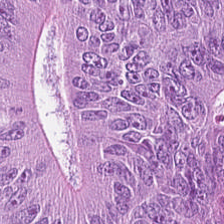Hematoxylin-and-eosin stained section — Predominant tissue: malignant epithelium.
